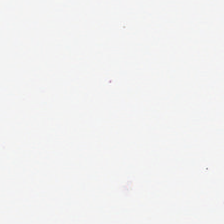WSI patch · H&E-stained tissue section — Background (no tissue).
